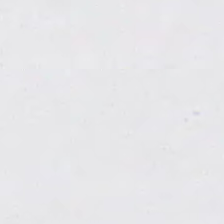No tissue present; background only.
